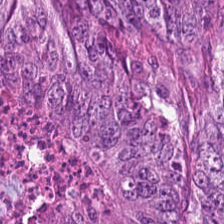Whole-slide-image patch; H&E-stained tissue section. This field is adenocarcinoma.
